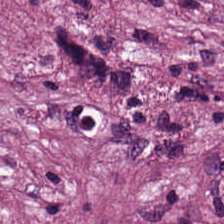H&E stain. Impression — cancer-associated stroma.
